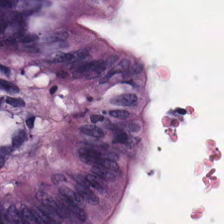Stain: H&E.
Tile size: 224×224 px tile.
Tissue type: normal colonic mucosa.
